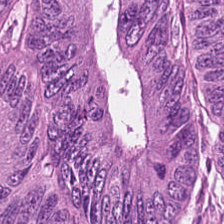224×224 pixel tile. H&E. Whole-slide-image patch — Tissue: tumor epithelium.
